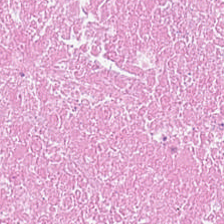224×224 px patch. Hematoxylin-and-eosin stained section — {"tissue_type": "debris"}
